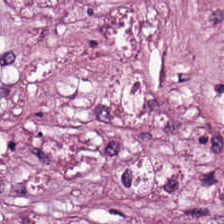Stain: hematoxylin-and-eosin stained section.
Tissue: desmoplastic stroma.
